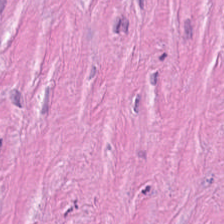This patch shows desmoplastic stroma.
